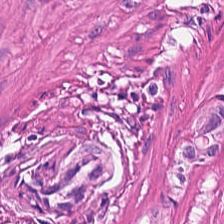This field is smooth-muscle tissue.
